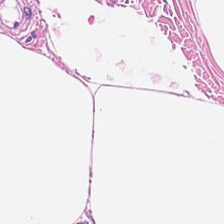224×224 pixel tile. H&E — Tissue type — fat tissue.
